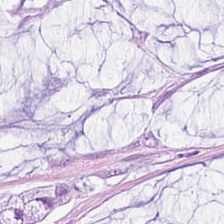0.5 µm per pixel · FFPE · H&E stain.
{"tissue_type": "extracellular mucin"}
